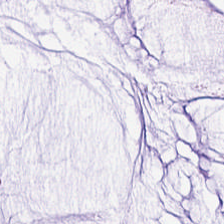Hematoxylin and eosin.
Tissue class = mucus.
